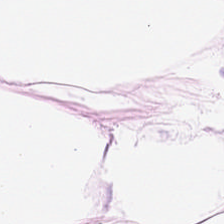Hematoxylin and eosin.
Q: What is shown in this field?
A: Adipose tissue.
